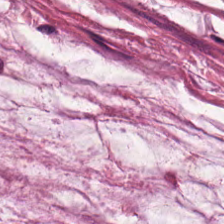0.5 microns per pixel · formalin-fixed paraffin-embedded section · H&E stain. The tissue here is mucin.
